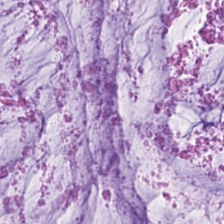Showing extracellular mucin.
